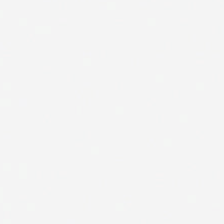Q: What is shown in this field?
A: This is background.
